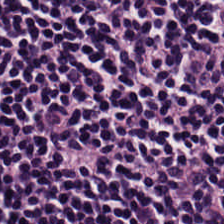Hematoxylin and eosin. 224×224 px tile — Tissue = lymphoid infiltrate.
